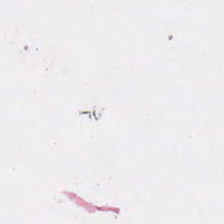Empty background.
